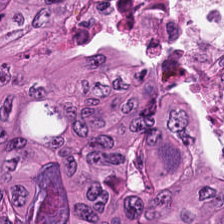Classification: colorectal adenocarcinoma.
